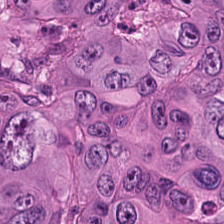Stain: H&E stain.
Tissue: adenocarcinoma.
